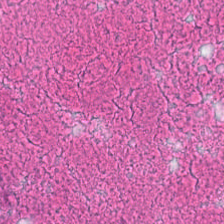Hematoxylin and eosin · FFPE tissue section · 20× equivalent magnification. The predominant tissue is cellular debris.
